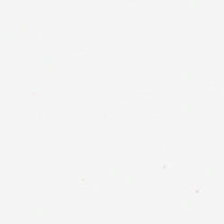H&E-stained tissue section · 224×224 px tile · WSI patch. Content = background (no tissue).
